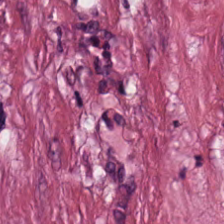Hematoxylin and eosin — Tissue class: tumor-associated stroma.
